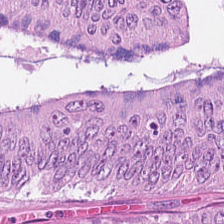H&E-stained tissue section.
Tissue type: tumor epithelium.
